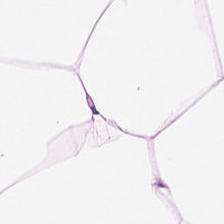Hematoxylin and eosin · whole-slide-image patch.
This patch shows adipose.
